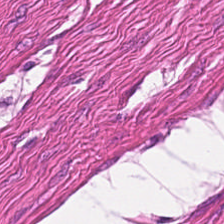H&E stain. This field is muscularis.
